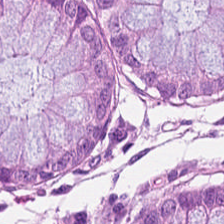Hematoxylin-and-eosin stained section.
{"tissue_type": "normal colon mucosa"}
